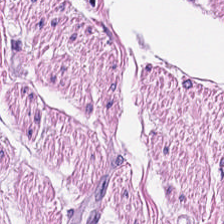Hematoxylin-and-eosin stained section — Muscularis.
